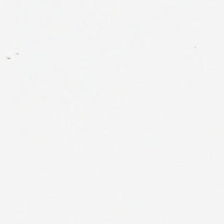0.5 µm/px. Hematoxylin-and-eosin stained section — Field content: no tissue.
